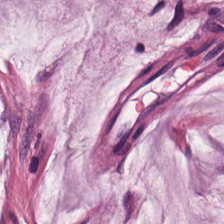H&E-stained tissue section.
The predominant tissue is mucus.
